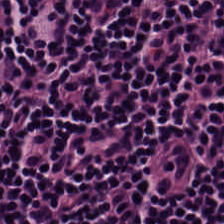Impression — lymphocyte aggregate.
